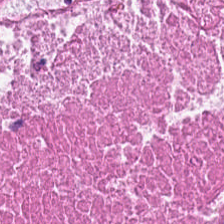H&E-stained tissue section. FFPE. 20× equivalent magnification — Impression — necrotic debris.
